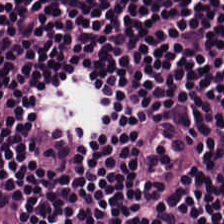This patch shows lymphoid infiltrate.
